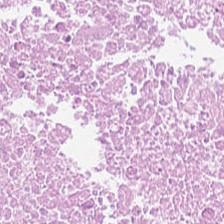Q: What is shown here?
A: This is cellular debris.
